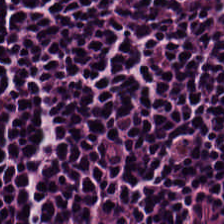H&E — lymphocyte aggregate.
